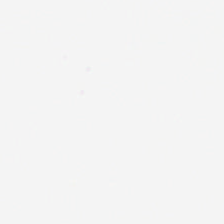Background — no tissue in this field.
